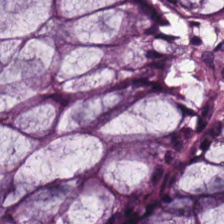{"tissue_type": "normal colon mucosa"}
